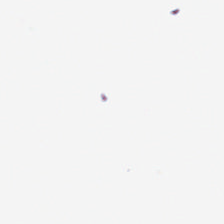The field content is empty background.
